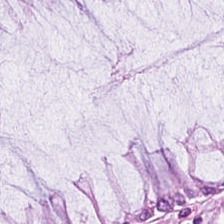224×224 px tile. Hematoxylin-and-eosin stained section. Predominantly non-neoplastic colon mucosa.
